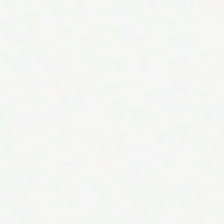Hematoxylin and eosin; 224×224 px patch.
The classification is empty background.
